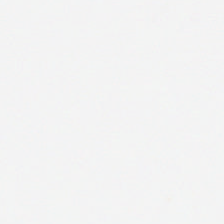H&E-stained tissue section · 224×224 pixel tile.
Background — no tissue in this field.
